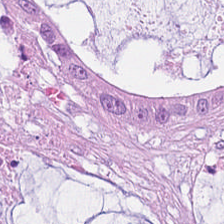Predominant tissue = mucus.
